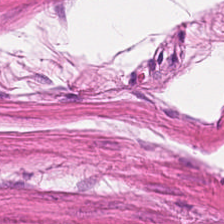0.5 µm per pixel. FFPE tissue section. H&E.
Histology → smooth muscle.
